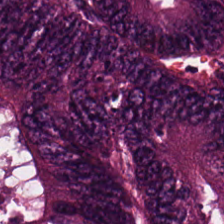Stain: hematoxylin-and-eosin stained section.
Acquisition: brightfield.
Preparation: FFPE tissue section.
Tissue type: adenocarcinoma.
